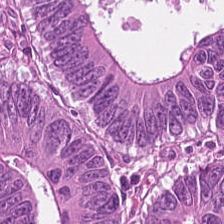H&E. 0.5 microns per pixel. Q: Classify this patch.
A: The field shows malignant epithelium.
